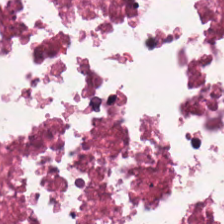Stain: H&E stain.
Tile size: 224×224 px patch.
Tissue: debris.
